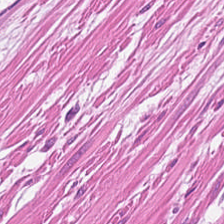Tissue: smooth muscle.
